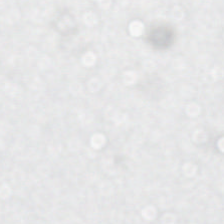Content: background (no tissue).
